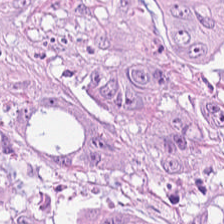Hematoxylin-and-eosin stained section. This patch shows colorectal adenocarcinoma.
